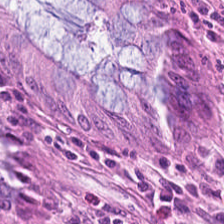Hematoxylin and eosin. Brightfield microscopy. The classification is normal colonic mucosa.
